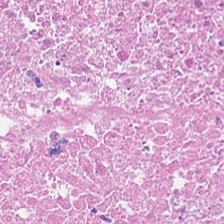H&E-stained tissue section · FFPE tissue section · whole-slide-image patch. The predominant tissue is necrotic debris.
